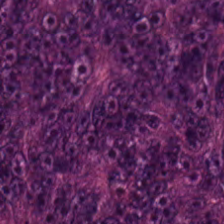Stain: hematoxylin-and-eosin stained section.
Tile size: 224×224 px tile.
Acquisition: brightfield microscopy.
Tissue class: tumor epithelium.
